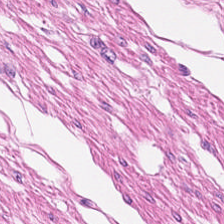Brightfield microscopy · H&E-stained tissue section — Histology — smooth muscle.
